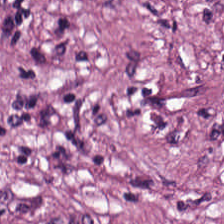Stain: hematoxylin-and-eosin stained section.
Acquisition: whole-slide-image patch.
Tissue: desmoplastic stroma.
